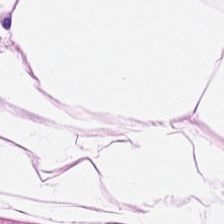H&E; 224×224 pixel tile; 20× equivalent magnification — The predominant tissue is fat tissue.
